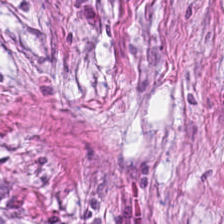H&E — Tumor stroma.
